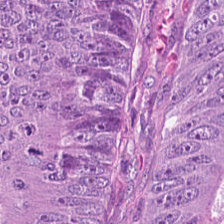FFPE; hematoxylin-and-eosin stained section — Q: What does this patch show?
A: Adenocarcinoma.
